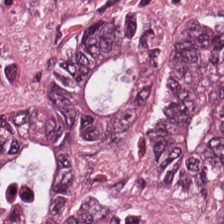Brightfield · H&E stain.
The predominant tissue is adenocarcinoma.
